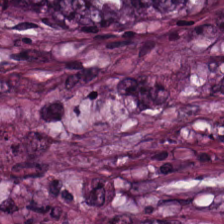Predominantly colorectal adenocarcinoma epithelium.
